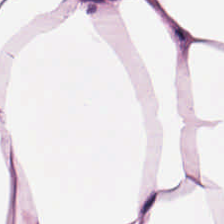H&E-stained tissue section.
Q: What tissue type is shown here?
A: This is adipose tissue.
